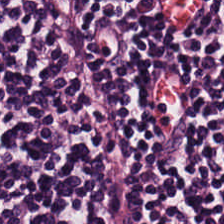0.5 µm/px; H&E-stained tissue section. Predominantly lymphocyte aggregate.
